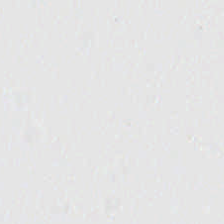Hematoxylin-and-eosin stained section.
Finding → empty background.
